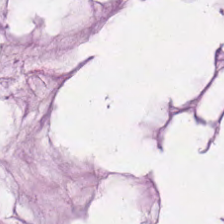Brightfield microscopy. Hematoxylin-and-eosin stained section. Histology — extracellular mucin.
